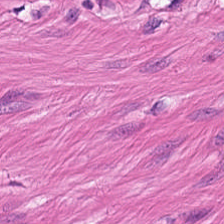Hematoxylin and eosin.
Q: Identify the tissue.
A: It is muscularis.
